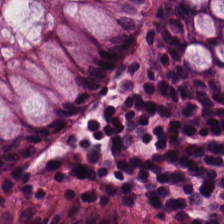Histology → normal colon mucosa.
